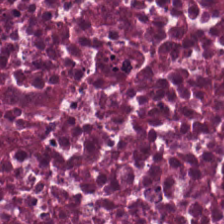Hematoxylin-and-eosin stained section.
Showing debris.
